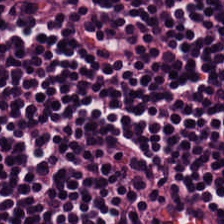0.5 µm/px · hematoxylin and eosin.
The tissue here is lymphocytes.
